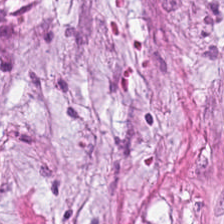Histology — desmoplastic stroma.
